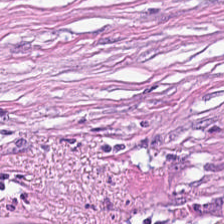FFPE tissue section · whole-slide-image patch · H&E-stained tissue section — The tissue class is tumor stroma.
